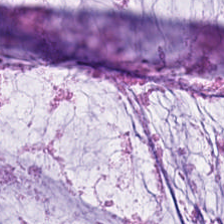Hematoxylin-and-eosin stained section.
The predominant tissue is extracellular mucin.
